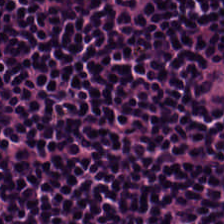Hematoxylin and eosin. Q: Classify this patch.
A: The field shows lymphocytes.
